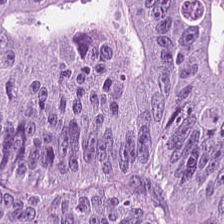Hematoxylin and eosin — Finding → adenocarcinoma.
